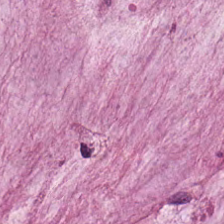WSI patch. H&E. Extracellular mucin.
